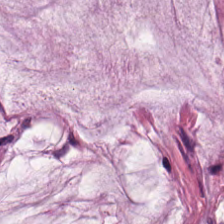Tissue class = mucus.
